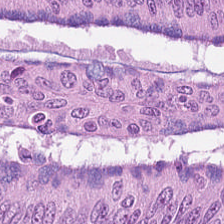Classification — colorectal adenocarcinoma epithelium.
